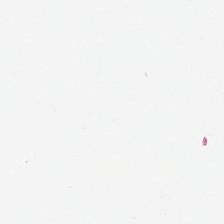Q: Classify this patch.
A: The field shows background.
